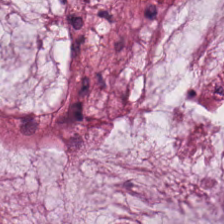H&E-stained tissue section — Mucin.
